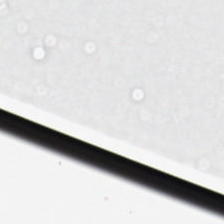Hematoxylin and eosin. No tissue present; background only.
